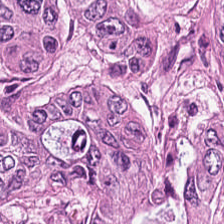Hematoxylin and eosin.
Q: What is the predominant tissue type?
A: It is adenocarcinoma.
